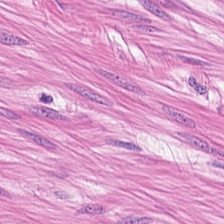Impression → smooth muscle.
